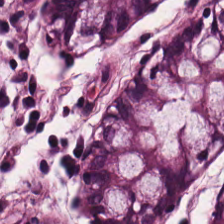Hematoxylin-and-eosin stained section — Showing normal colonic mucosa.
